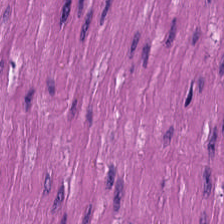Hematoxylin and eosin — The tissue type is smooth muscle.
